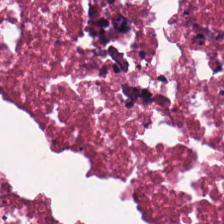Q: What tissue is shown?
A: It is cellular debris.
